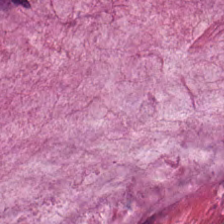Stain: hematoxylin and eosin.
Tile size: 224×224 px tile.
Classification: mucus.
